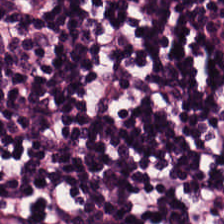Hematoxylin and eosin — This patch shows lymphocytic infiltrate.
